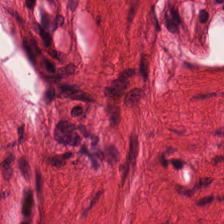H&E stain.
Tissue type — muscularis.
